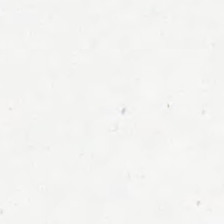The content is no tissue.
